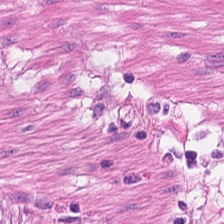Hematoxylin and eosin. Brightfield microscopy — Q: Classify this patch.
A: It is smooth-muscle tissue.
